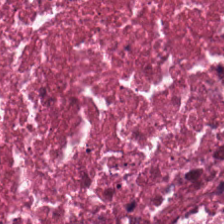H&E-stained tissue section.
The predominant tissue is cellular debris.
